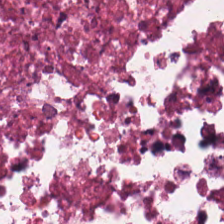H&E — This patch shows necrotic debris.
